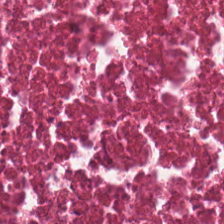Hematoxylin and eosin. Classification: debris.
